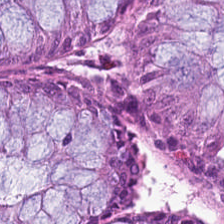Histology — non-neoplastic colon mucosa.
